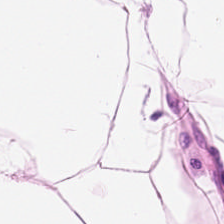Hematoxylin-and-eosin stained section. The tissue is fat tissue.
